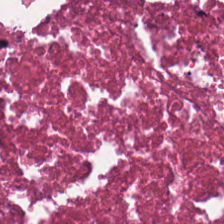Formalin-fixed paraffin-embedded section. 0.5 µm/px. Hematoxylin-and-eosin stained section. Predominantly necrotic debris.
